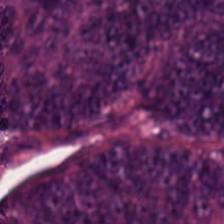WSI patch · hematoxylin-and-eosin stained section — The predominant tissue is colorectal adenocarcinoma epithelium.
